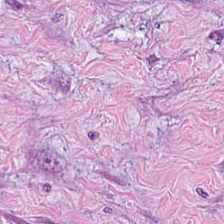WSI patch; formalin-fixed paraffin-embedded section; H&E stain.
The predominant tissue is cancer-associated stroma.
